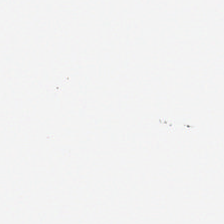0.5 µm/px. FFPE. H&E. No tissue present; background only.
